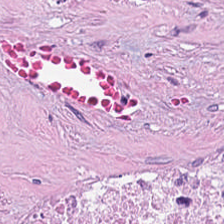Predominant tissue = cellular debris.
